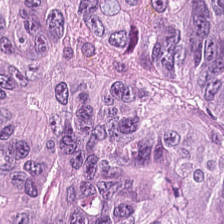H&E-stained tissue section · 20× equivalent magnification — The tissue here is malignant epithelium.
